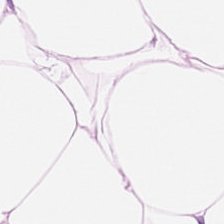FFPE; H&E stain.
This field is fat tissue.
